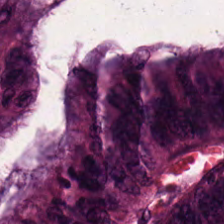Showing colorectal adenocarcinoma epithelium.
